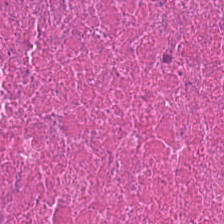Stain: hematoxylin-and-eosin stained section.
Resolution: 0.5 µm/px.
Tissue type: necrotic debris.
